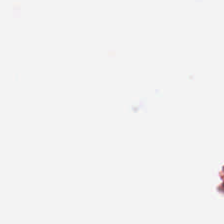Stain: H&E stain.
Content: background.
